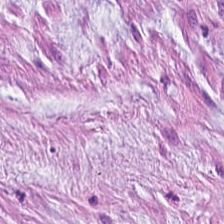Stain: hematoxylin and eosin.
Acquisition: brightfield microscopy.
Tissue class: extracellular mucin.
